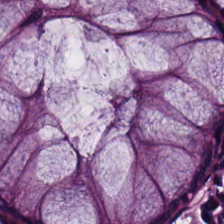H&E stain; FFPE.
Q: What tissue is shown?
A: It is non-neoplastic colon mucosa.
